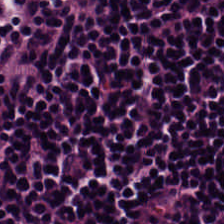Stain: H&E-stained tissue section.
Tissue: lymphoid infiltrate.
